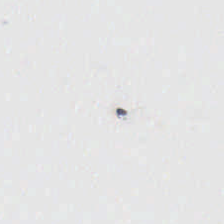Empty field — no tissue.
